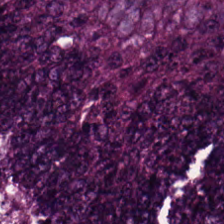224×224 px tile; hematoxylin-and-eosin stained section; whole-slide-image patch — Classification: adenocarcinoma.
